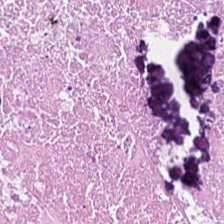Predominantly cellular debris.
